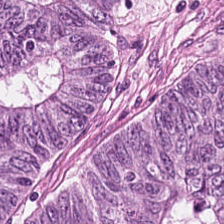Q: What tissue type is shown here?
A: It is colorectal adenocarcinoma.
